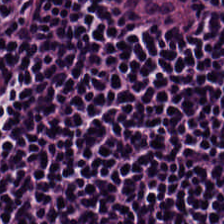H&E stain. Histology → lymphoid infiltrate.
